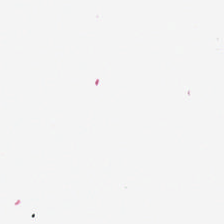Q: What does this patch show?
A: The field shows background.
